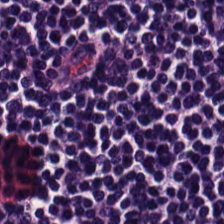H&E-stained tissue section. 0.5 microns per pixel.
Impression → lymphocytes.
